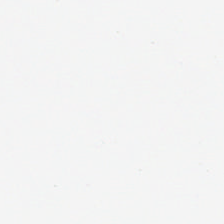20× equivalent magnification; 224×224 px tile; H&E — Empty field — background.
